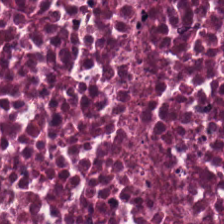H&E-stained tissue section. 224×224 pixel tile — This field is debris.
